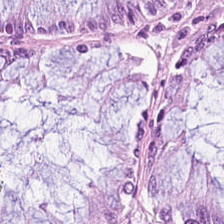WSI patch · 0.5 µm per pixel · H&E-stained tissue section.
Q: What is shown here?
A: It is non-neoplastic colon mucosa.
